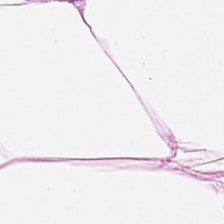Hematoxylin and eosin — {"tissue_type": "adipocytes"}
